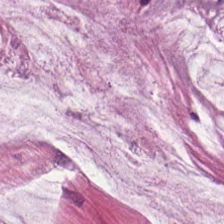H&E-stained section; the field shows extracellular mucin.
